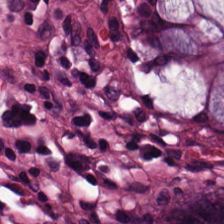FFPE tissue section · H&E stain.
The predominant tissue is non-neoplastic colon mucosa.
